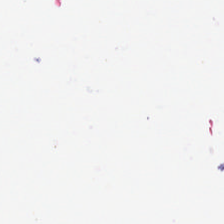Content — empty background.
